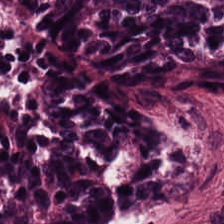WSI patch; 0.5 microns per pixel; hematoxylin and eosin. Q: Identify the tissue.
A: It is adenocarcinoma.
